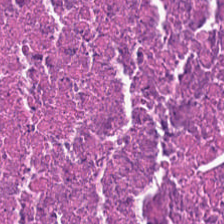H&E stain · 0.5 µm/px · brightfield microscopy. Q: What is shown here?
A: It is necrotic debris.
